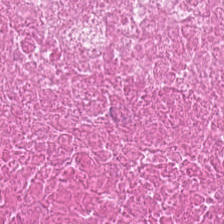Hematoxylin-and-eosin stained section.
Tissue class — necrotic debris.
